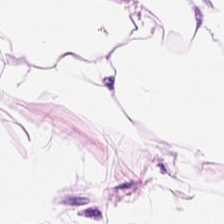Hematoxylin-and-eosin stained section — This patch shows fat tissue.
